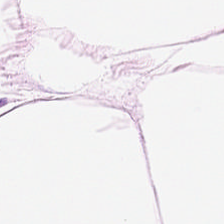Brightfield; formalin-fixed paraffin-embedded section; hematoxylin and eosin. Showing adipocytes.
